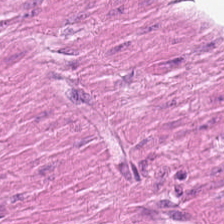WSI patch. H&E stain. Showing smooth-muscle tissue.
